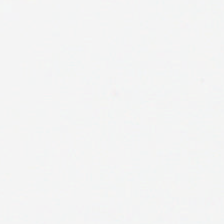Stain: H&E.
Content: no tissue.
